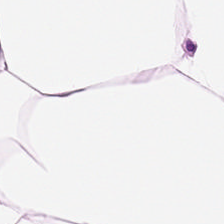Hematoxylin and eosin. Histology — adipocytes.
